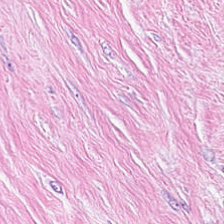H&E stain — Q: Classify this patch.
A: The field shows tumor-associated stroma.
